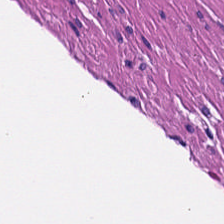H&E-stained tissue section — Q: What is shown in this field?
A: It is muscularis.
